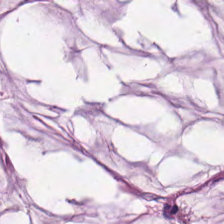Histology → mucus.
